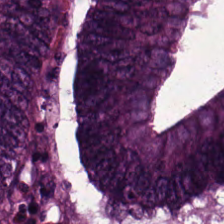Hematoxylin-and-eosin stained section · formalin-fixed paraffin-embedded section. Classification: colorectal adenocarcinoma.
